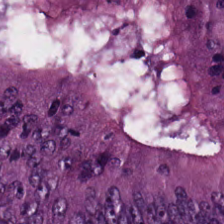Hematoxylin and eosin.
This field is malignant epithelium.
